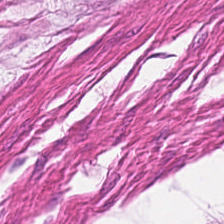Stain: hematoxylin and eosin.
Predominant tissue: muscularis.
